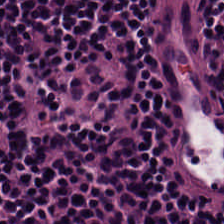FFPE; 224×224 px patch; H&E — The tissue here is lymphoid infiltrate.
